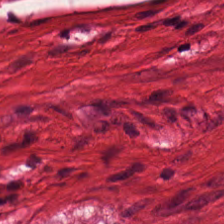H&E stain · WSI patch · 0.5 µm/px — This field is smooth-muscle tissue.
